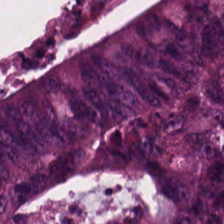Hematoxylin-and-eosin stained section; 20× equivalent magnification. This patch shows colorectal adenocarcinoma epithelium.
